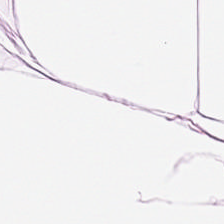Hematoxylin-and-eosin stained section. This field is fat tissue.
